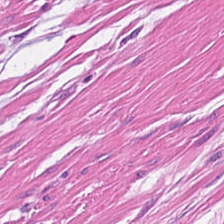H&E-stained tissue section. Predominant tissue = muscularis.
